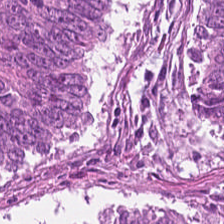Hematoxylin and eosin.
The tissue class is adenocarcinoma.
